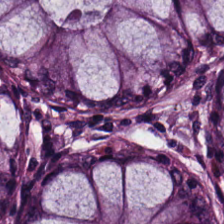Whole-slide-image patch; H&E-stained tissue section.
Finding — non-neoplastic colon mucosa.
